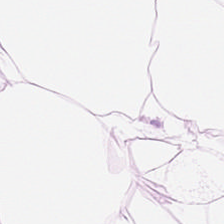Hematoxylin and eosin. Finding → fat tissue.
